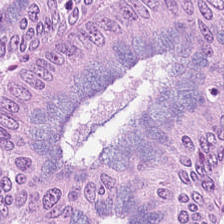Finding → colorectal adenocarcinoma epithelium.
